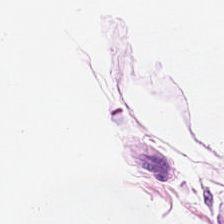Hematoxylin-and-eosin stained section — Classification — adipocytes.
